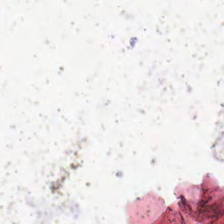224×224 pixel tile · H&E-stained tissue section.
No tissue present; background only.
